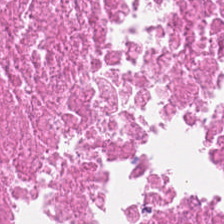20× equivalent magnification; brightfield; hematoxylin and eosin — This field is cellular debris.
